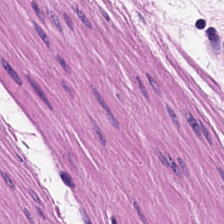Histology — smooth-muscle tissue.
